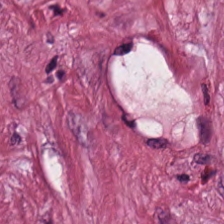Hematoxylin-and-eosin stained section · FFPE — The classification is cancer-associated stroma.
